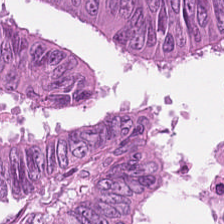Tissue — malignant epithelium.
